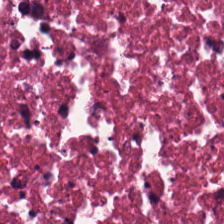Hematoxylin-and-eosin stained section · 224×224 pixel tile. Debris.
